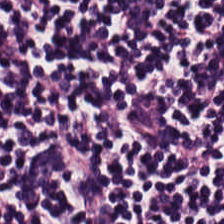H&E.
This field is lymphoid infiltrate.
